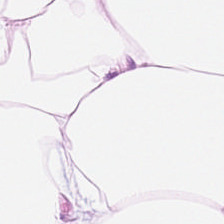Hematoxylin and eosin. Impression — fat tissue.
